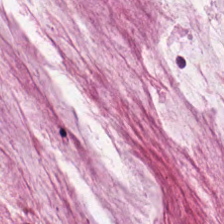H&E — Impression — extracellular mucin.
